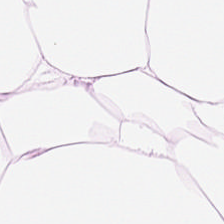Tissue = adipose tissue.
